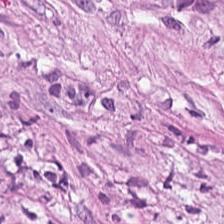Hematoxylin-and-eosin stained section — {"tissue_type": "tumor-associated stroma"}
